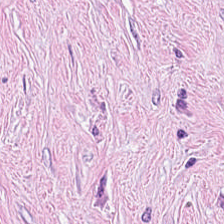Showing desmoplastic stroma.
